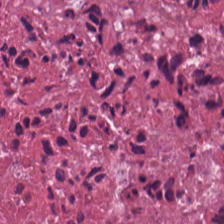H&E-stained tissue section — Tissue: debris.
